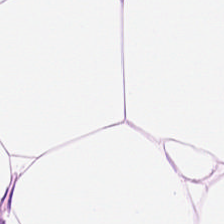H&E.
Histology — adipocytes.
